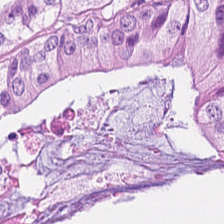Predominant tissue = tumor epithelium.
